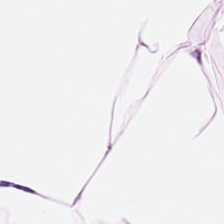Stain: hematoxylin-and-eosin stained section.
Resolution: 20× equivalent magnification.
Predominant tissue: adipose.
